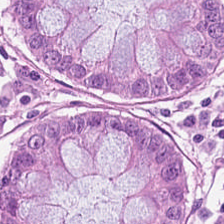Formalin-fixed paraffin-embedded section. H&E stain — {"tissue_type": "normal colonic mucosa"}
